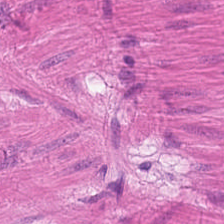Q: What is shown here?
A: It is smooth muscle.
